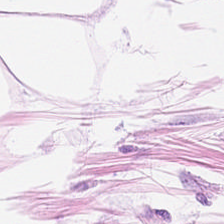Tissue type = fat tissue.
